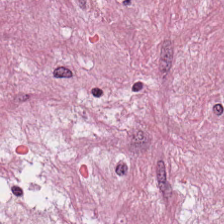H&E-stained tissue section. This field is tumor-associated stroma.
